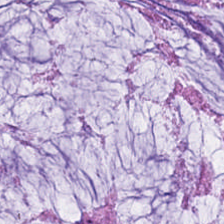Formalin-fixed paraffin-embedded section · H&E-stained tissue section.
Classification: mucus.
